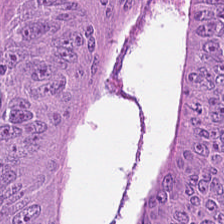Hematoxylin-and-eosin section: colorectal adenocarcinoma epithelium.
